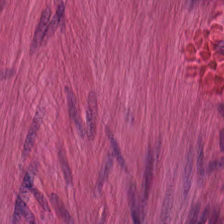224×224 px patch. H&E.
Q: What is shown in this field?
A: It is smooth muscle.
